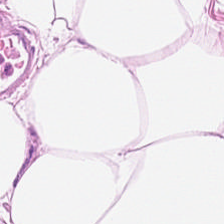Histology — adipose tissue.
